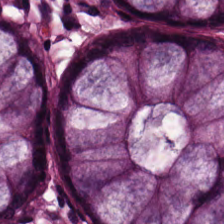0.5 µm per pixel; hematoxylin and eosin. Predominant tissue — benign colonic mucosa.
